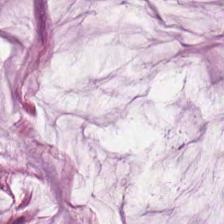Q: What does this patch show?
A: It is mucus.
